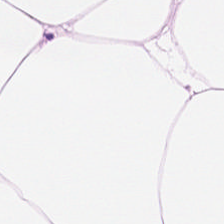Q: What does this patch show?
A: Adipocytes.
